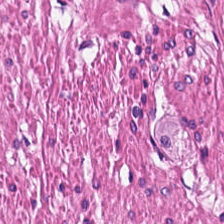Hematoxylin and eosin. Q: What is shown here?
A: This is smooth-muscle tissue.
